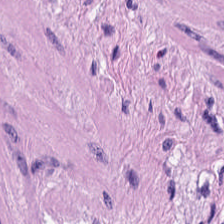{"tissue_type": "smooth muscle"}
